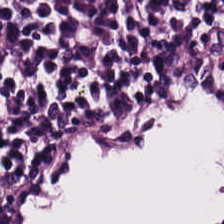H&E-stained tissue section — Tissue class = lymphoid infiltrate.
